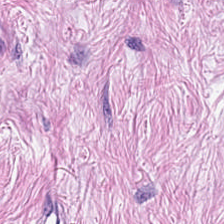FFPE tissue section · H&E stain · 0.5 microns per pixel. The tissue here is desmoplastic stroma.
